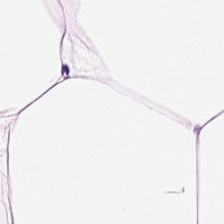H&E stain. Classification = fat tissue.
